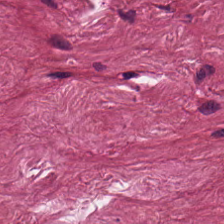WSI patch. Hematoxylin-and-eosin stained section. 224×224 px patch — Tissue: tumor stroma.
